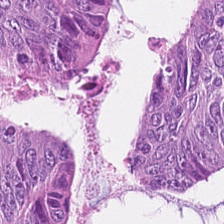H&E stain — Colorectal adenocarcinoma.
